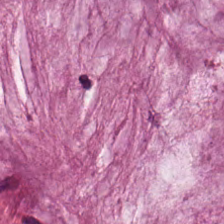H&E-stained tissue section.
Q: What tissue is shown?
A: Mucin.
